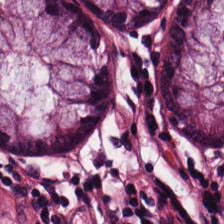Stain: H&E stain.
Predominant tissue: non-neoplastic colon mucosa.
